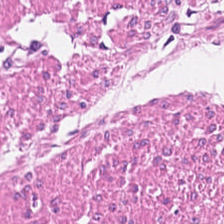Hematoxylin-and-eosin stained section — The predominant tissue is smooth muscle.
